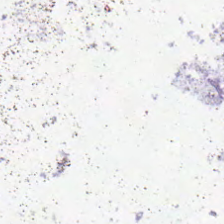Stain: H&E.
Acquisition: brightfield.
Field content: background.
